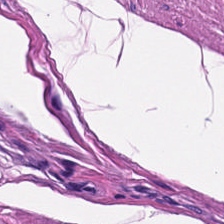H&E-stained tissue section · 224×224 px tile. Predominant tissue = smooth-muscle tissue.
